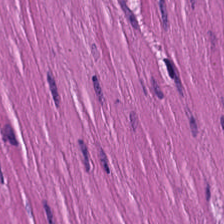H&E stain. Q: What is shown here?
A: Smooth-muscle tissue.
